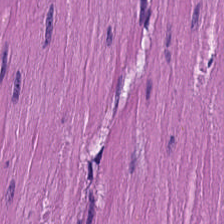Brightfield · H&E-stained tissue section.
Histology — muscularis.
